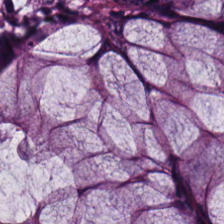Hematoxylin-and-eosin stained section. WSI patch — {"tissue_type": "normal colon mucosa"}
